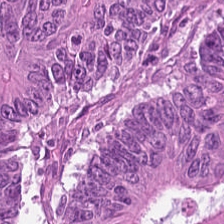20× equivalent magnification; hematoxylin and eosin.
{"tissue_type": "colorectal adenocarcinoma epithelium"}
